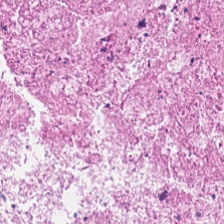Hematoxylin-and-eosin stained section · 224×224 px patch.
This patch shows debris.
